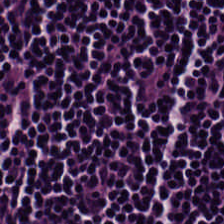Q: What type of tissue is this?
A: The field shows lymphocyte aggregate.
